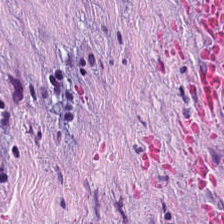{"tissue_type": "tumor stroma"}
